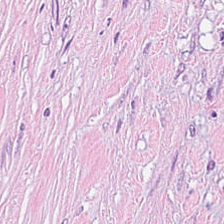Predominantly desmoplastic stroma.
